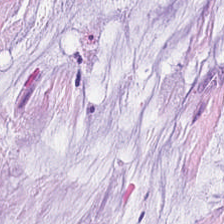H&E stain.
This patch shows extracellular mucin.
